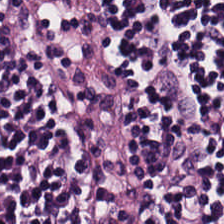The tissue here is lymphocyte aggregate.
